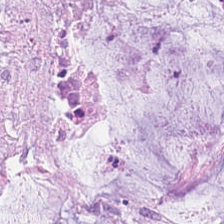H&E stain.
Tissue type = mucin.
